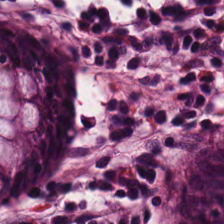H&E — Classification = benign colonic mucosa.
